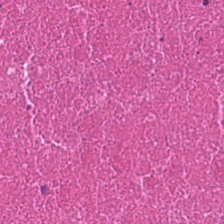H&E-stained tissue section. Histology — cellular debris.
